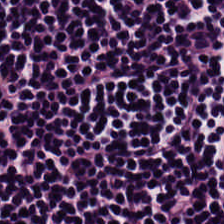FFPE tissue section. Hematoxylin and eosin.
Histology → lymphocytes.
